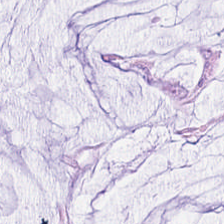H&E-stained tissue section; WSI patch. Showing extracellular mucin.
